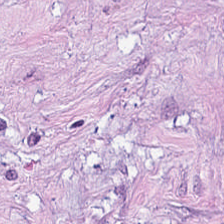{"tissue_type": "tumor-associated stroma"}
